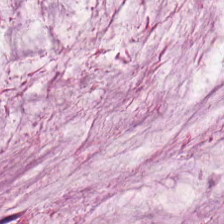H&E stain — Classification: mucin.
